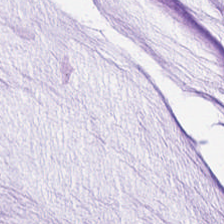Whole-slide-image patch. H&E. Tissue — extracellular mucin.
